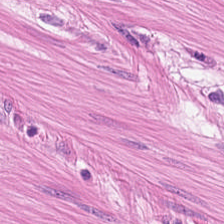H&E · FFPE tissue section.
Q: What tissue type is shown here?
A: This is smooth muscle.
